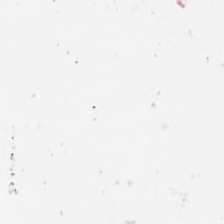H&E; 224×224 px patch — Empty field — empty background.
